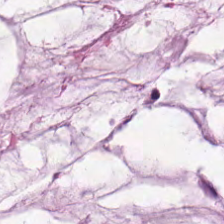Hematoxylin and eosin — Showing mucus.
